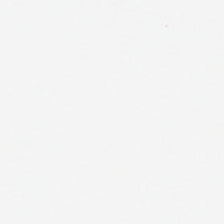H&E; FFPE. Content = background.
